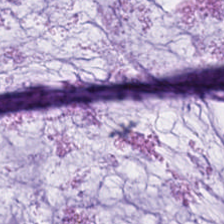H&E · 224×224 px patch — Q: What type of tissue is this?
A: This is mucus.
